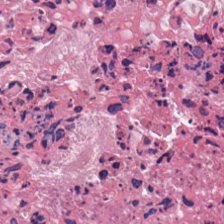H&E. 224×224 px tile.
Histology — debris.
